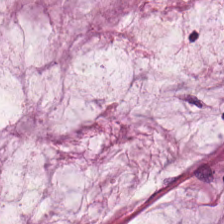0.5 µm per pixel · H&E-stained tissue section — Showing mucus.
